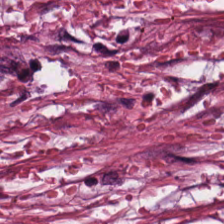H&E — The predominant tissue is cancer-associated stroma.
